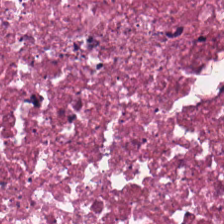Brightfield; hematoxylin-and-eosin stained section.
Showing necrotic debris.
